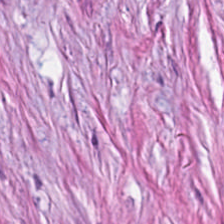Formalin-fixed paraffin-embedded section. 0.5 µm per pixel. Hematoxylin and eosin — Predominant tissue — desmoplastic stroma.
